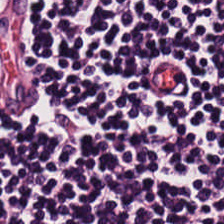The predominant tissue is lymphocyte aggregate.
